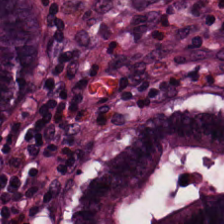This patch shows non-neoplastic colon mucosa.
